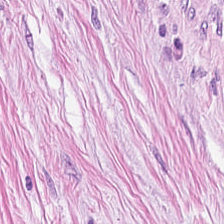224×224 px patch; hematoxylin-and-eosin stained section. Predominantly desmoplastic stroma.
